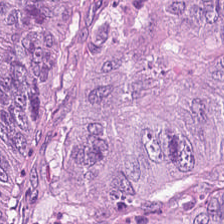H&E-stained section; the field shows colorectal adenocarcinoma.
